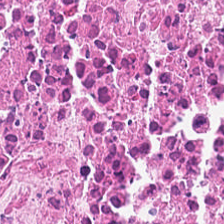H&E stain — Predominantly debris.
